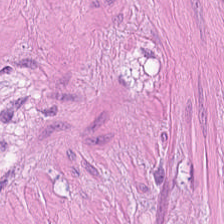H&E stain. 224×224 pixel tile. Whole-slide-image patch.
Q: What is shown here?
A: Muscularis.
